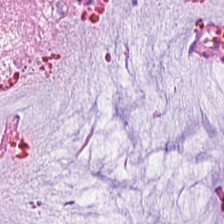Stain: H&E-stained tissue section.
Resolution: 0.5 µm per pixel.
Predominant tissue: extracellular mucin.
